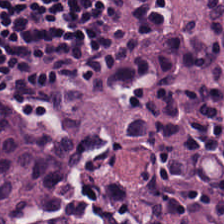224×224 px patch · 0.5 microns per pixel · H&E stain. Tissue — lymphocytes.
